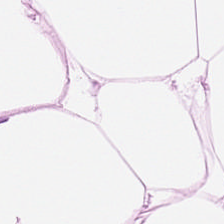224×224 px tile. H&E stain.
Finding — fat tissue.
